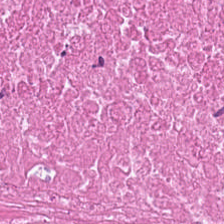H&E-stained tissue section. Histology → debris.
